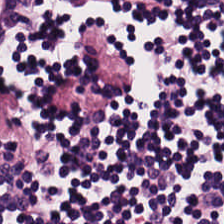Q: Identify the tissue.
A: Lymphoid infiltrate.
